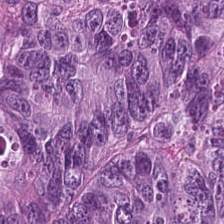H&E — {"tissue_type": "adenocarcinoma"}
